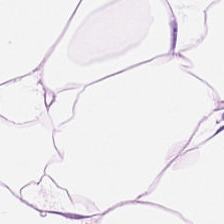FFPE · hematoxylin and eosin — Predominant tissue — fat tissue.
